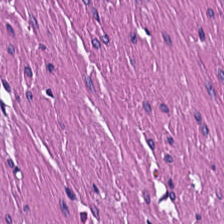0.5 µm/px · H&E-stained tissue section. Predominantly smooth muscle.
